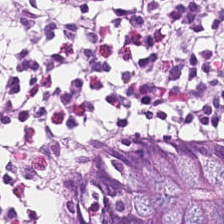H&E stain · brightfield. This patch shows benign colonic mucosa.
